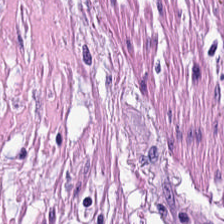0.5 µm/px; H&E-stained tissue section.
Impression → muscularis.
